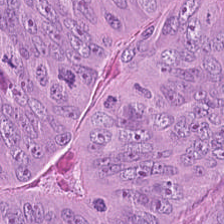H&E stain. The tissue class is colorectal adenocarcinoma epithelium.
